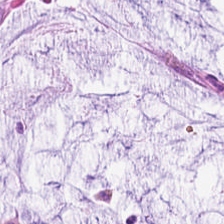Predominant tissue: mucus.
